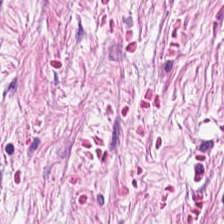Tissue class = tumor stroma.
